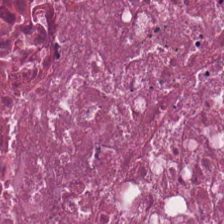Finding — cellular debris.
